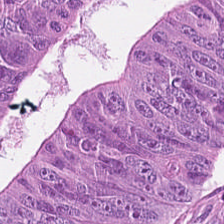H&E · 224×224 px patch. Showing colorectal adenocarcinoma.
